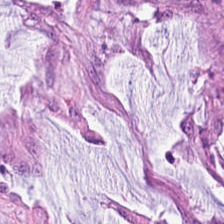H&E stain. This patch shows mucus.
